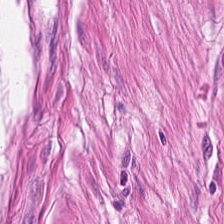Hematoxylin-and-eosin stained section; FFPE tissue section — Tissue type: muscularis.
